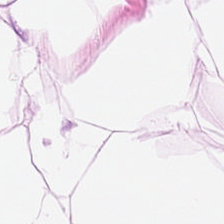Hematoxylin and eosin. Q: What type of tissue is this?
A: Fat tissue.
